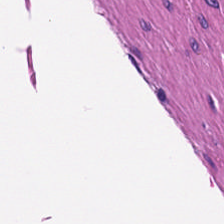0.5 µm per pixel · hematoxylin-and-eosin stained section. The predominant tissue is smooth muscle.
